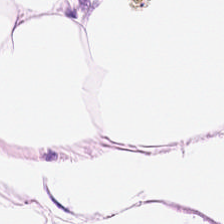Classification — adipose tissue.
